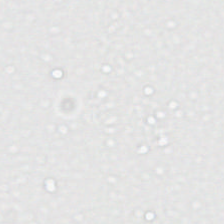Formalin-fixed paraffin-embedded section · 0.5 µm per pixel · H&E-stained tissue section. Field content = empty background.
